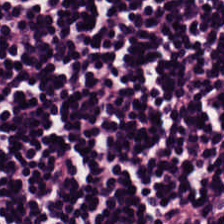20× equivalent magnification · hematoxylin-and-eosin stained section · 224×224 px tile. Lymphoid infiltrate.
